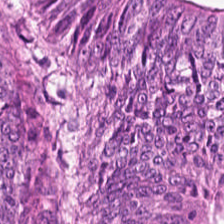Brightfield · hematoxylin-and-eosin stained section. Finding → adenocarcinoma.
